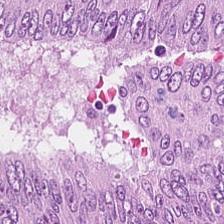H&E; 224×224 pixel tile. This field is tumor epithelium.
